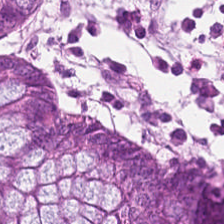224×224 pixel tile · FFPE tissue section · hematoxylin-and-eosin stained section.
The tissue type is non-neoplastic colon mucosa.
